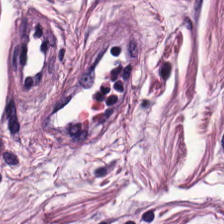Hematoxylin-and-eosin stained section.
Q: What tissue type is shown here?
A: The field shows muscularis.
